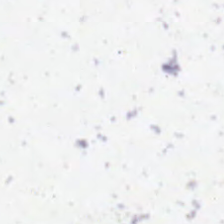Stain: hematoxylin-and-eosin stained section.
Classification: empty background.
